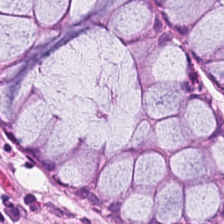H&E.
The tissue here is normal colon mucosa.
